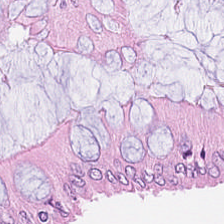Q: What tissue is shown?
A: It is normal colonic mucosa.
